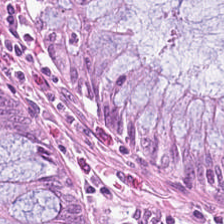Histology — non-neoplastic colon mucosa.
